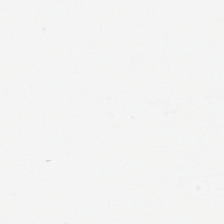Hematoxylin and eosin. Formalin-fixed paraffin-embedded section. Background — no tissue in this field.
